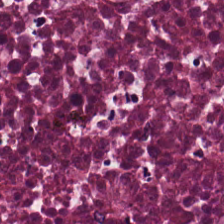This patch shows necrotic debris.
